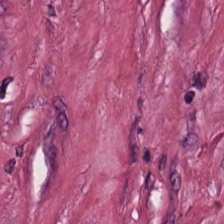Stain: H&E stain.
Tile size: 224×224 px tile.
Tissue type: desmoplastic stroma.
